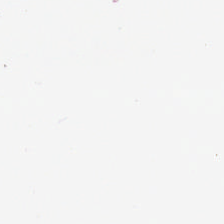FFPE · H&E-stained tissue section.
Empty background.
